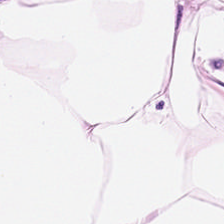H&E stain.
Q: What does this patch show?
A: This is fat tissue.
